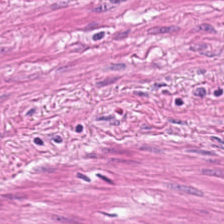H&E stain.
Predominantly smooth muscle.
